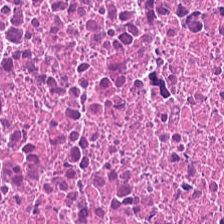H&E; 20× equivalent magnification; FFPE. {"tissue_type": "debris"}
